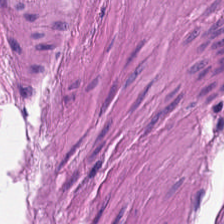H&E-stained tissue section.
Impression — muscularis.
